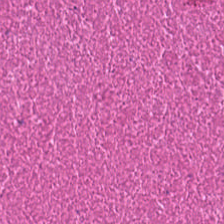Classification: necrotic debris.
